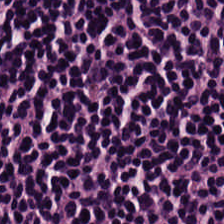0.5 microns per pixel · H&E.
Tissue class — lymphocyte aggregate.
